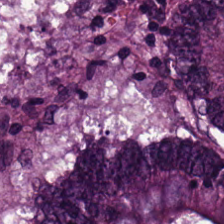H&E patch showing colorectal adenocarcinoma.
